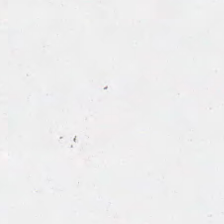H&E-stained tissue section.
Histology → no tissue.
